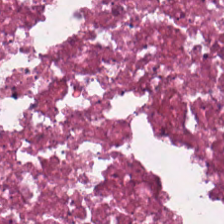Hematoxylin-and-eosin stained section.
{"tissue_type": "cellular debris"}
